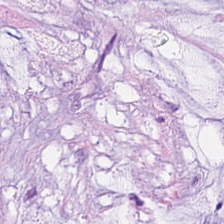H&E-stained tissue section. FFPE. Mucin.
